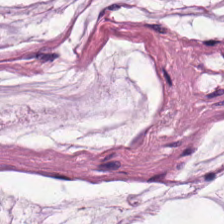224×224 pixel tile · H&E-stained tissue section — Tissue class — extracellular mucin.
